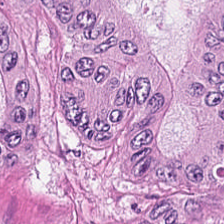224×224 px patch; hematoxylin and eosin; WSI patch. Malignant epithelium.
